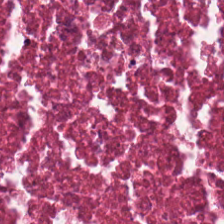224×224 px patch; H&E — Predominantly necrotic debris.
